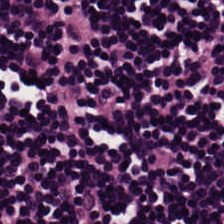224×224 pixel tile; hematoxylin and eosin.
The tissue here is lymphoid infiltrate.
